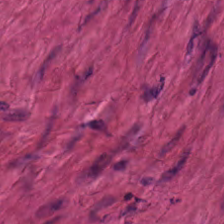Hematoxylin-and-eosin stained section. 224×224 pixel tile.
The tissue here is smooth muscle.
